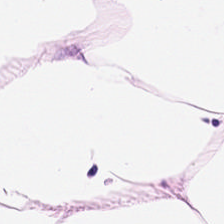H&E patch showing adipocytes.
